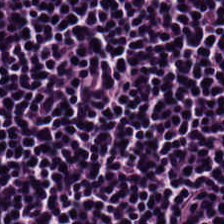H&E — {"tissue_type": "lymphocyte aggregate"}
